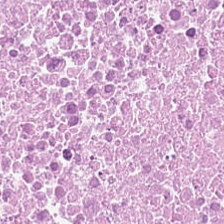224×224 px tile · hematoxylin-and-eosin stained section · brightfield. Predominantly necrotic debris.
